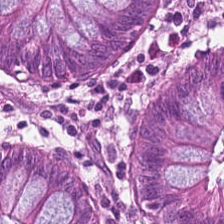0.5 microns per pixel. Hematoxylin and eosin — Q: What is the predominant tissue type?
A: This is normal colon mucosa.
